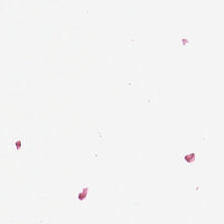H&E. FFPE. 0.5 µm per pixel. No tissue present; background only.
